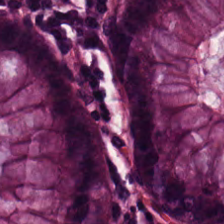Impression → normal colonic mucosa.
